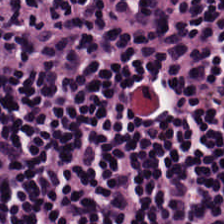H&E · FFPE — Predominant tissue — lymphocytes.
